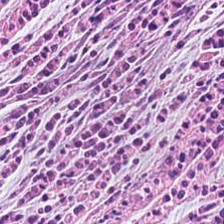Stain: H&E stain.
Preparation: FFPE tissue section.
Tissue class: desmoplastic stroma.
